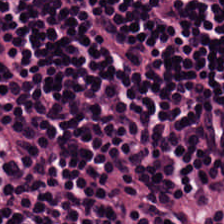Finding → lymphocyte aggregate.
